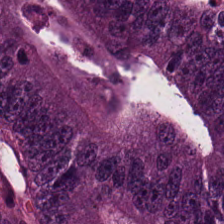Hematoxylin and eosin. Q: Classify this patch.
A: The field shows malignant epithelium.
